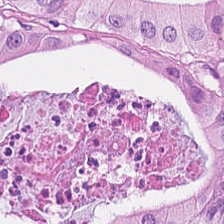H&E stain; FFPE tissue section; 224×224 px tile — The tissue type is malignant epithelium.
